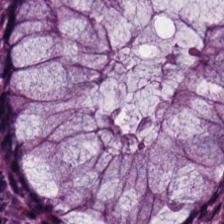Stain: H&E-stained tissue section.
Tissue class: benign colonic mucosa.
